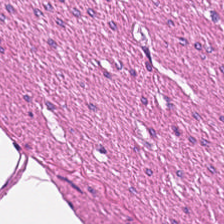Q: What is the predominant tissue type?
A: The field shows smooth-muscle tissue.
